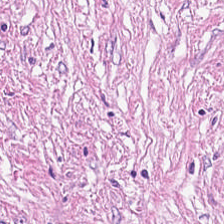H&E-stained tissue section.
{"tissue_type": "tumor-associated stroma"}
